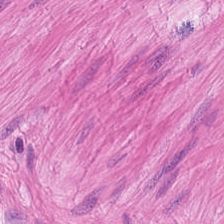Hematoxylin and eosin.
The predominant tissue is muscularis.
